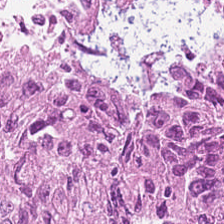Hematoxylin-and-eosin section: malignant epithelium.
